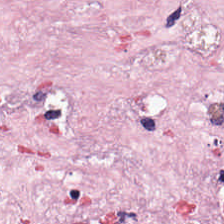Tissue class — tumor stroma.
